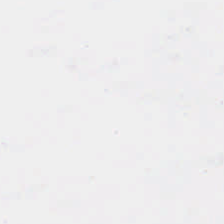0.5 µm/px · H&E stain.
Finding — background (no tissue).
